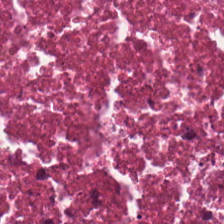H&E. WSI patch. 224×224 px tile.
The predominant tissue is necrotic debris.
